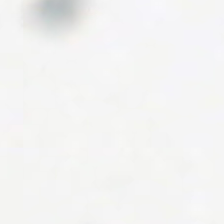Hematoxylin-and-eosin stained section · 224×224 pixel tile — The field content is background (no tissue).
